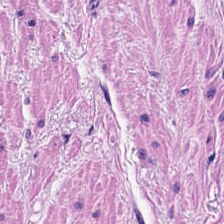H&E-stained tissue section showing smooth muscle.
